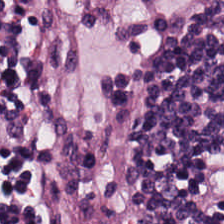Hematoxylin-and-eosin stained section. Tissue type = lymphocytes.
